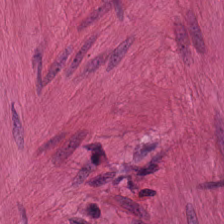Tissue = muscularis.
